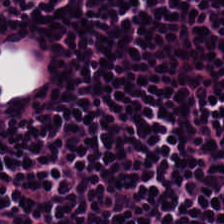FFPE · 20× equivalent magnification · hematoxylin-and-eosin stained section. Q: What tissue is shown?
A: The field shows lymphocytes.
